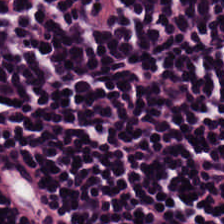224×224 pixel tile · hematoxylin and eosin.
The predominant tissue is lymphocytic infiltrate.
